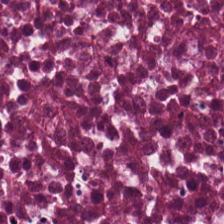Stain: H&E-stained tissue section.
Preparation: formalin-fixed paraffin-embedded section.
Predominant tissue: necrotic debris.
